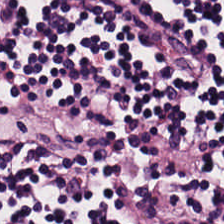20× equivalent magnification · hematoxylin and eosin — The predominant tissue is lymphocyte aggregate.
